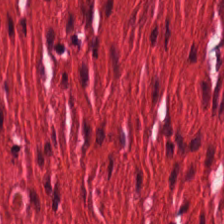H&E.
Classification: smooth-muscle tissue.
